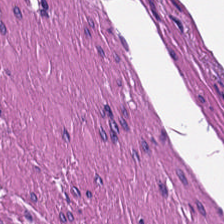Stain: hematoxylin-and-eosin stained section.
Tissue type: muscularis.
